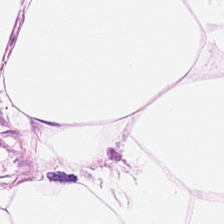Hematoxylin-and-eosin stained section — {"tissue_type": "adipose tissue"}
